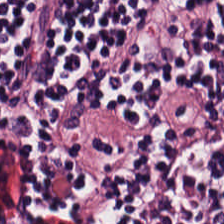Q: What tissue is shown?
A: The field shows lymphoid infiltrate.
